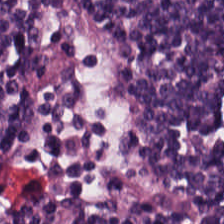H&E stain. Whole-slide-image patch.
Finding — lymphocytes.
